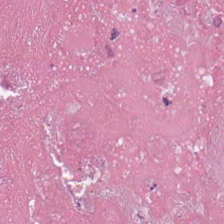224×224 pixel tile · hematoxylin-and-eosin stained section. {"tissue_type": "necrotic debris"}
